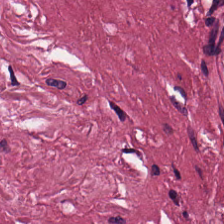Hematoxylin and eosin.
Tumor stroma.
